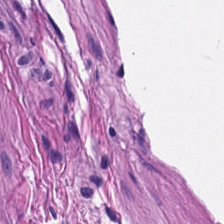Hematoxylin-and-eosin stained section — Predominant tissue = muscularis.
